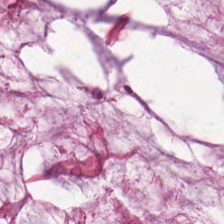H&E stain; 224×224 px tile. Mucus.
